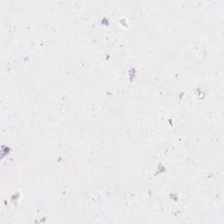Content = empty background.
